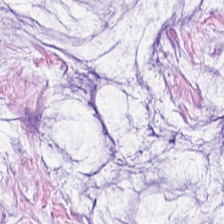Hematoxylin-and-eosin stained section.
Q: What is the predominant tissue type?
A: It is mucus.
